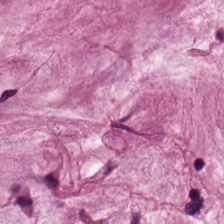Tissue class — mucus.
